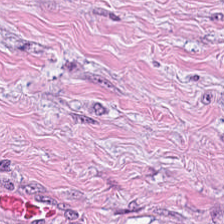224×224 px tile. Hematoxylin-and-eosin stained section — Q: What is the predominant tissue type?
A: It is tumor stroma.
